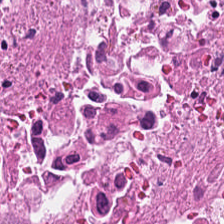H&E — Q: Classify this patch.
A: This is necrotic debris.
